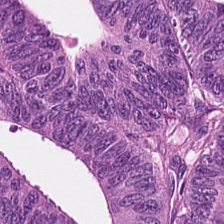This patch shows colorectal adenocarcinoma.
